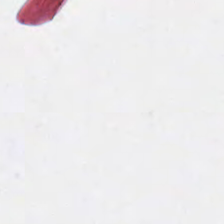Impression — background.
